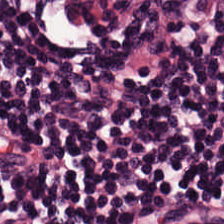H&E-stained tissue section · FFPE · brightfield microscopy — Q: Identify the tissue.
A: Lymphocyte aggregate.
